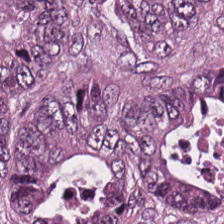Hematoxylin and eosin — Adenocarcinoma.
